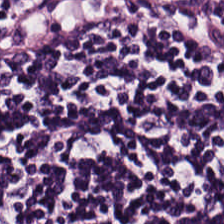Hematoxylin-and-eosin stained section. 0.5 µm per pixel. WSI patch. This patch shows lymphoid infiltrate.
